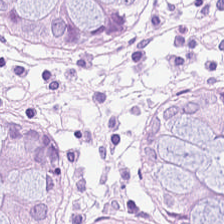Predominantly benign colonic mucosa.
